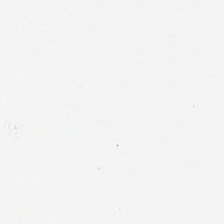Q: What is shown in this field?
A: The field shows background (no tissue).
